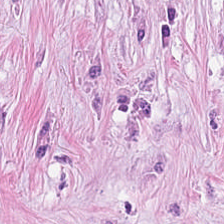Predominantly tumor-associated stroma.
